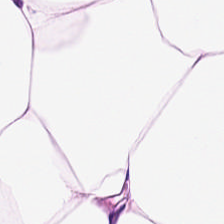H&E stain. Tissue class = fat tissue.
